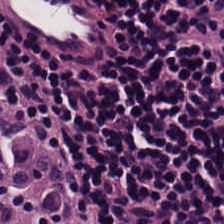Hematoxylin-and-eosin section: lymphoid infiltrate.
